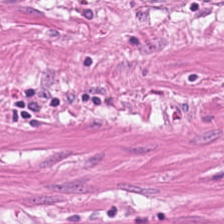WSI patch · H&E — The tissue here is muscularis.
